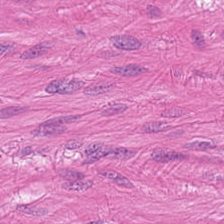Showing smooth muscle.
